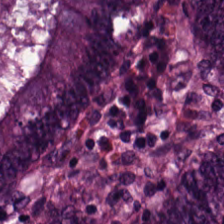H&E-stained tissue section · FFPE tissue section — This field is colorectal adenocarcinoma.
